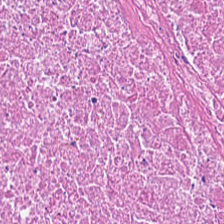H&E — Q: What is shown in this field?
A: The field shows debris.
